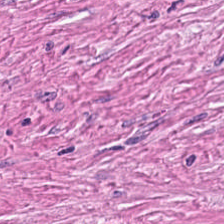Hematoxylin-and-eosin stained section.
Tissue type = cancer-associated stroma.
